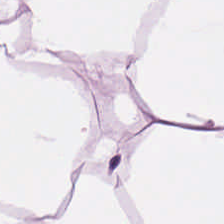Hematoxylin and eosin. 0.5 microns per pixel — Q: What is the predominant tissue type?
A: This is adipocytes.
